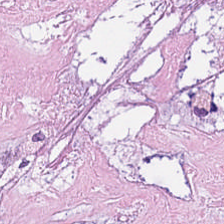H&E stain.
{"tissue_type": "debris"}
